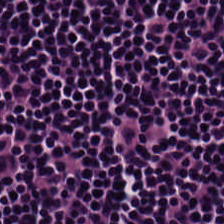H&E-stained tissue section — Lymphocyte aggregate.
